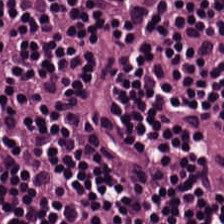H&E-stained tissue section.
The tissue here is lymphocytic infiltrate.
